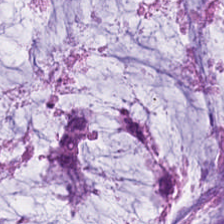H&E-stained tissue section showing extracellular mucin.
